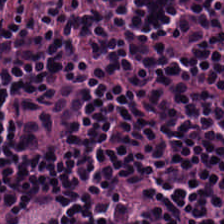Hematoxylin-and-eosin stained section · FFPE tissue section. This field is lymphocytes.
